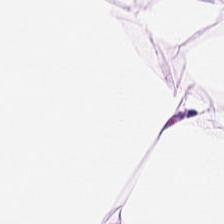H&E stain.
Impression — fat tissue.
